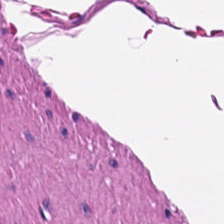H&E stain. 0.5 µm/px.
This field is smooth muscle.
